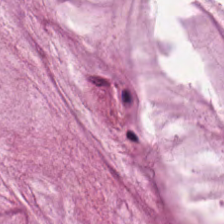Stain: hematoxylin and eosin.
Tissue type: mucin.
